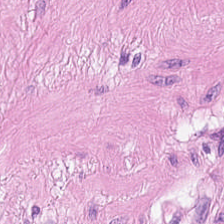Formalin-fixed paraffin-embedded section; H&E; 0.5 µm per pixel — The tissue here is muscularis.
